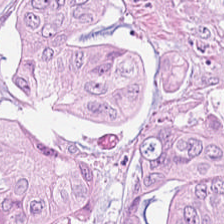Hematoxylin and eosin · brightfield microscopy — Tissue class = tumor epithelium.
